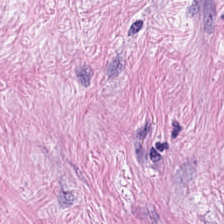224×224 pixel tile; hematoxylin and eosin.
The tissue is tumor stroma.
